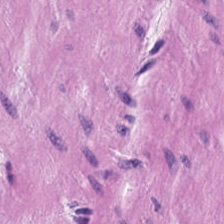Brightfield microscopy. H&E stain. Smooth-muscle tissue.
